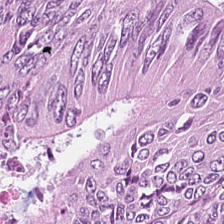Brightfield microscopy; hematoxylin-and-eosin stained section. This patch shows adenocarcinoma.
